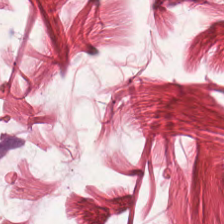H&E stain. This field is smooth-muscle tissue.
